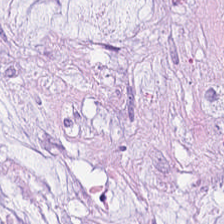Hematoxylin and eosin — Q: Classify this patch.
A: It is extracellular mucin.
